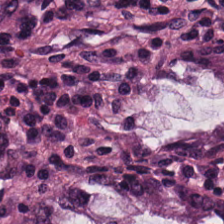Hematoxylin-and-eosin section: normal colonic mucosa.
